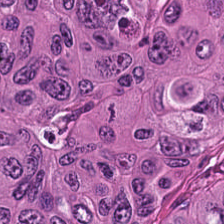Hematoxylin-and-eosin stained section. Tissue = colorectal adenocarcinoma epithelium.
